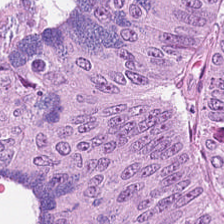H&E-stained tissue section showing malignant epithelium.
